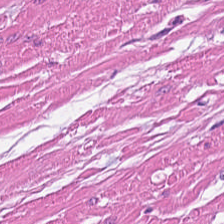FFPE; hematoxylin and eosin.
Muscularis.
